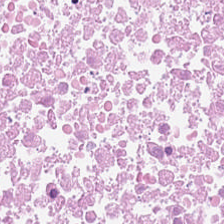Hematoxylin and eosin; WSI patch.
This patch shows debris.
